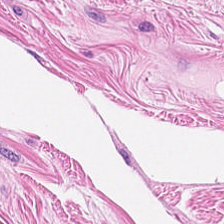Q: What is shown here?
A: Muscularis.
